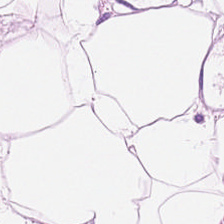Q: What is shown here?
A: Adipose.
